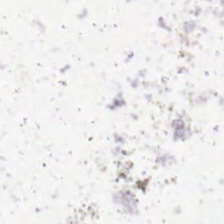Hematoxylin and eosin; 224×224 px patch; WSI patch. Classification = background (no tissue).
